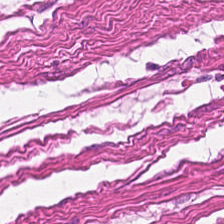Classification = smooth-muscle tissue.
